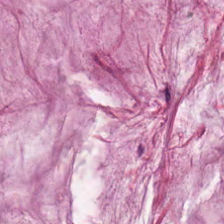H&E stain — Tissue type — extracellular mucin.
